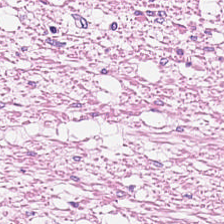Hematoxylin-and-eosin stained section — {"tissue_type": "muscularis"}
